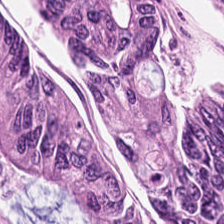Hematoxylin and eosin. Classification: colorectal adenocarcinoma.
